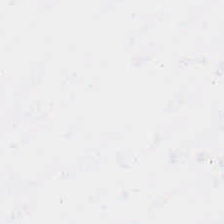FFPE · hematoxylin and eosin · 0.5 microns per pixel.
Empty field — background.
